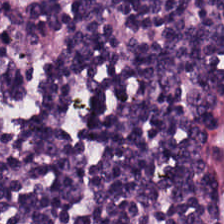H&E stain; FFPE — This field is lymphocytic infiltrate.
